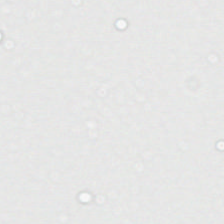Stain: H&E.
Resolution: 0.5 microns per pixel.
Acquisition: brightfield microscopy.
Content: empty background.
